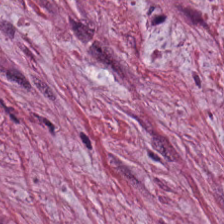224×224 px tile. H&E-stained tissue section. 0.5 µm/px.
Impression — desmoplastic stroma.
